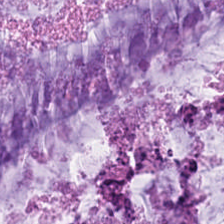H&E. Tissue class — mucus.
